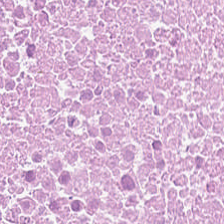Hematoxylin-and-eosin stained section. FFPE — This field is necrotic debris.
